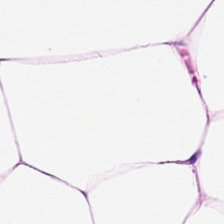Hematoxylin and eosin.
Classification = fat tissue.
